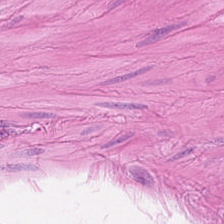Q: What is shown in this field?
A: Smooth-muscle tissue.
